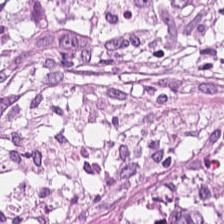H&E stain. Tissue class — cancer-associated stroma.
